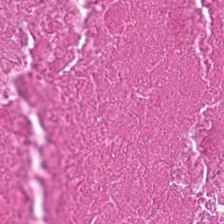WSI patch · hematoxylin-and-eosin stained section.
Predominantly necrotic debris.
